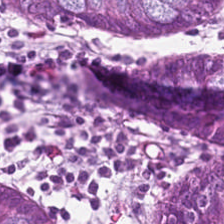Stain: H&E.
Tissue type: benign colonic mucosa.
